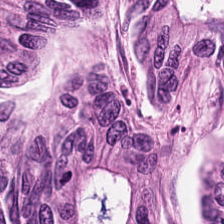Hematoxylin-and-eosin stained section. 0.5 µm/px. Q: What tissue type is shown here?
A: The field shows colorectal adenocarcinoma epithelium.
